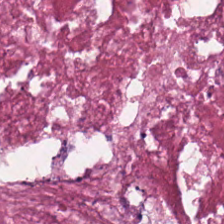H&E-stained tissue section. Brightfield microscopy — Tissue type — cellular debris.
